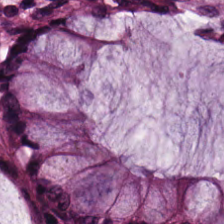H&E-stained tissue section; 224×224 px patch; WSI patch.
Tissue type = benign colonic mucosa.
